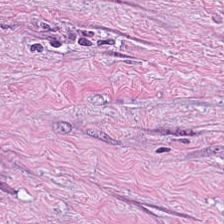Whole-slide-image patch · H&E-stained tissue section · FFPE. Tumor-associated stroma.
